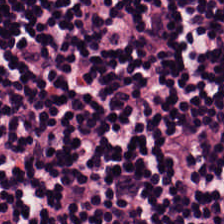H&E — Lymphoid infiltrate.
